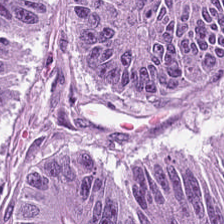Whole-slide-image patch; 224×224 pixel tile; hematoxylin and eosin — Finding — tumor epithelium.
